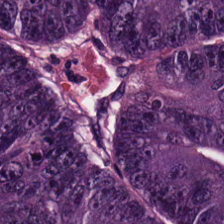Predominantly colorectal adenocarcinoma epithelium.
